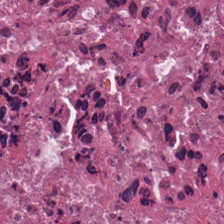Tissue = cellular debris.
